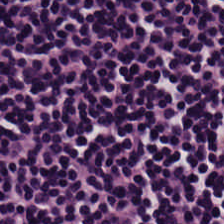H&E — Q: What tissue type is shown here?
A: This is lymphocyte aggregate.
